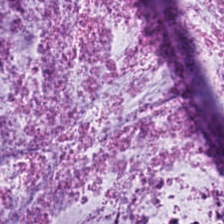H&E. This field is mucin.
